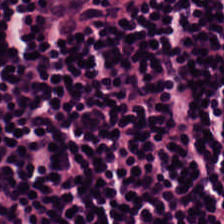224×224 px tile. H&E — The predominant tissue is lymphocytic infiltrate.
